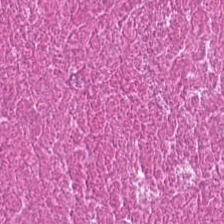Stain: H&E.
Predominant tissue: debris.
